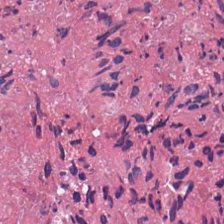Whole-slide-image patch. H&E-stained tissue section. 20× equivalent magnification.
Impression — necrotic debris.
